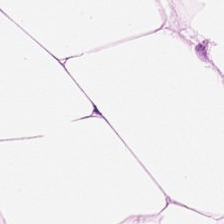Tissue type: adipose tissue.
